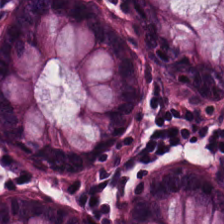Tissue class: normal colonic mucosa.
